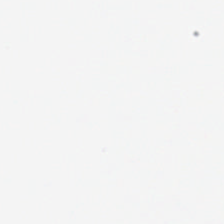Histology → background (no tissue).
